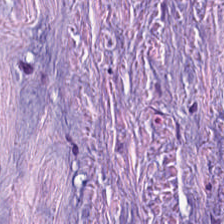H&E-stained tissue section. Histology → tumor stroma.
